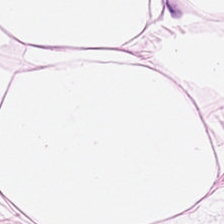Stain: hematoxylin and eosin.
Tissue type: adipose tissue.
